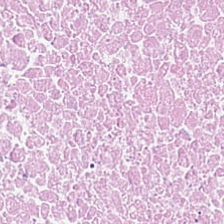H&E; whole-slide-image patch. Finding — cellular debris.
